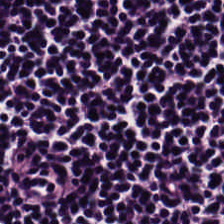Stain: H&E.
Tissue class: lymphocytes.
